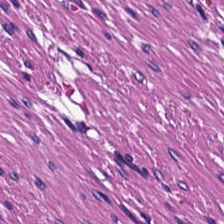Hematoxylin-and-eosin stained section. 224×224 px patch.
Tissue type = muscularis.
